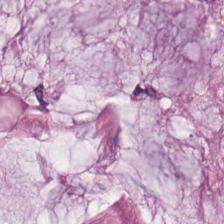Stain: hematoxylin-and-eosin stained section.
Tissue: mucus.
